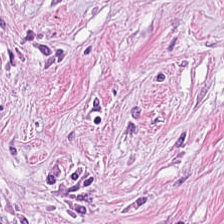Hematoxylin-and-eosin stained section · 224×224 px tile.
Predominantly cancer-associated stroma.
